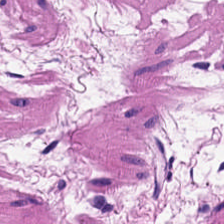Brightfield · H&E-stained tissue section — Q: Classify this patch.
A: This is smooth muscle.
